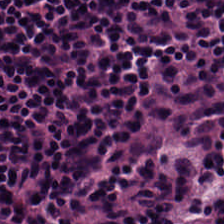Stain: H&E stain.
Predominant tissue: lymphocytic infiltrate.
